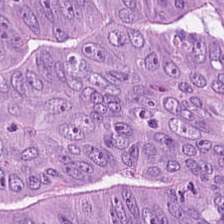H&E stain; formalin-fixed paraffin-embedded section. Classification: adenocarcinoma.
